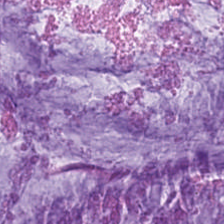Q: What tissue type is shown here?
A: This is mucus.
